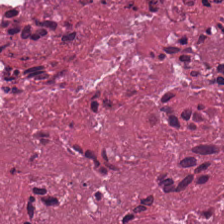H&E stain. 20× equivalent magnification. Showing cellular debris.
